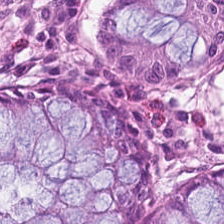Stain: H&E-stained tissue section.
Tissue: non-neoplastic colon mucosa.
